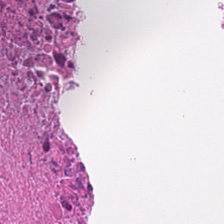H&E-stained tissue section — Q: Classify this patch.
A: The field shows debris.
